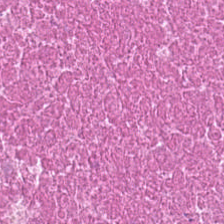H&E-stained tissue section. Q: Classify this patch.
A: It is cellular debris.
